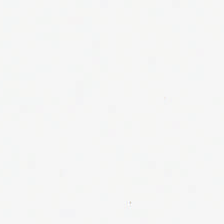H&E-stained tissue section. Empty field — background.
